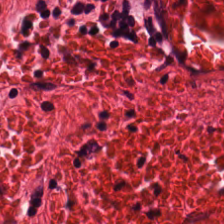H&E stain · 224×224 pixel tile. Tissue class: smooth muscle.
